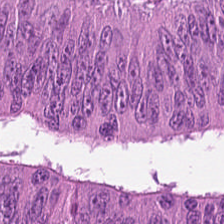H&E-stained tissue section. FFPE tissue section — Adenocarcinoma.
